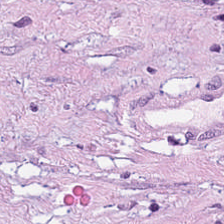Stain: H&E stain.
Classification: tumor stroma.
